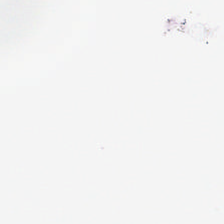0.5 µm per pixel; H&E stain.
Background — no tissue in this field.
